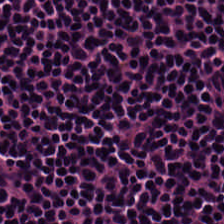0.5 microns per pixel · hematoxylin and eosin — Classification: lymphocytic infiltrate.
